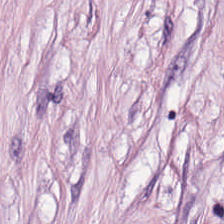H&E — Tissue class = desmoplastic stroma.
